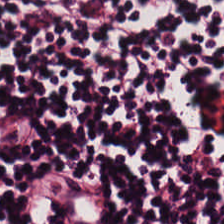H&E-stained tissue section. Q: What tissue type is shown here?
A: Lymphocytes.
